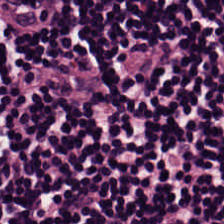Brightfield microscopy. Hematoxylin-and-eosin stained section — This patch shows lymphoid infiltrate.
